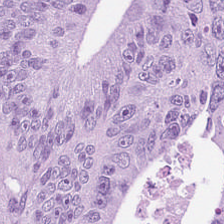Hematoxylin-and-eosin stained section · FFPE tissue section — Impression — adenocarcinoma.
